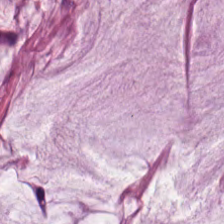H&E-stained tissue section — {"tissue_type": "mucus"}
